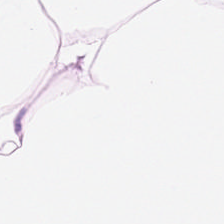Hematoxylin and eosin.
Q: What is the predominant tissue type?
A: It is adipose tissue.
